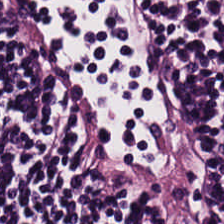Hematoxylin-and-eosin stained section · whole-slide-image patch. Q: What does this patch show?
A: This is lymphoid infiltrate.
